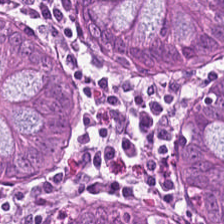Tissue type — normal colonic mucosa.
